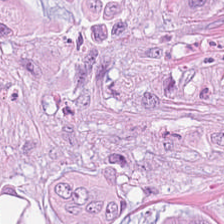H&E. The predominant tissue is colorectal adenocarcinoma.
